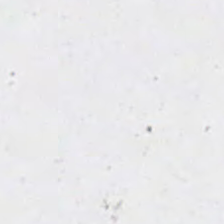Stain: hematoxylin and eosin.
Field content: no tissue.
